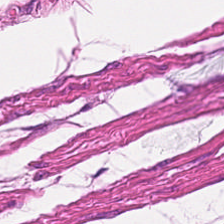This patch shows smooth-muscle tissue.
